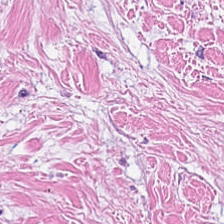224×224 px tile; hematoxylin and eosin — This patch shows cancer-associated stroma.
